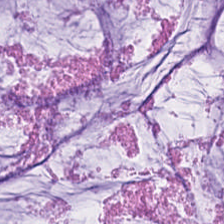{"tissue_type": "mucin"}
